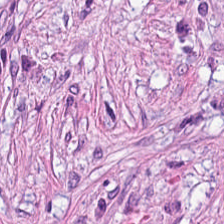H&E-stained tissue section · 0.5 microns per pixel — This patch shows tumor-associated stroma.
